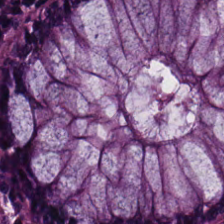H&E-stained tissue section — Showing normal colon mucosa.
